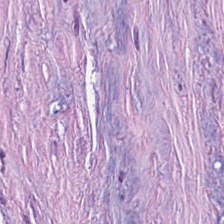Stain: H&E-stained tissue section.
Resolution: 20× equivalent magnification.
Tile size: 224×224 px tile.
Tissue: desmoplastic stroma.
